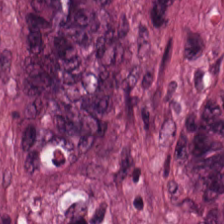Hematoxylin-and-eosin stained section — Tissue = malignant epithelium.
